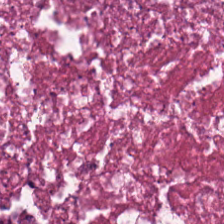The tissue here is cellular debris.
